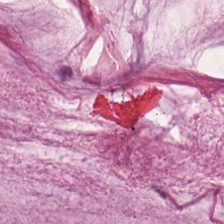Hematoxylin-and-eosin stained section.
Histology → mucus.
